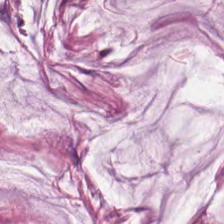Tissue — extracellular mucin.
